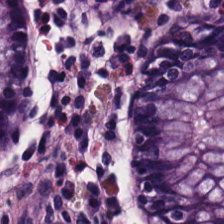20× equivalent magnification · hematoxylin-and-eosin stained section — The predominant tissue is normal colon mucosa.
